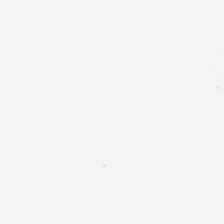Impression — empty background.
